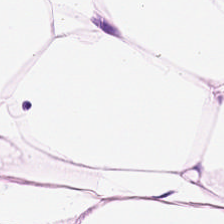H&E. Classification: fat tissue.
